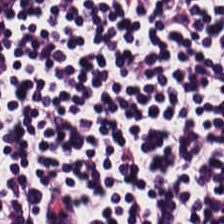H&E stain — Showing lymphoid infiltrate.
